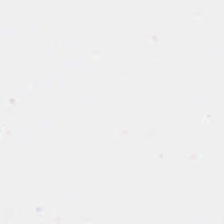Finding — empty background.
